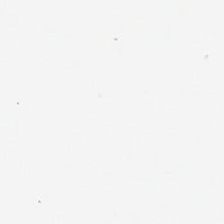Hematoxylin and eosin. Brightfield microscopy — This field is background (no tissue).
